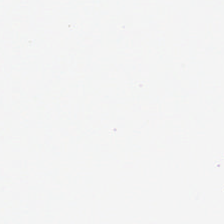Empty field — background.
